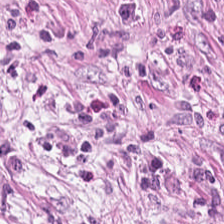H&E-stained tissue section · 0.5 µm/px · WSI patch. The classification is tumor stroma.
